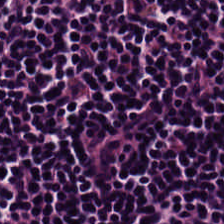Stain: hematoxylin and eosin.
Predominant tissue: lymphocyte aggregate.
